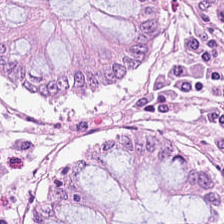Stain: H&E stain.
Tissue type: normal colonic mucosa.
